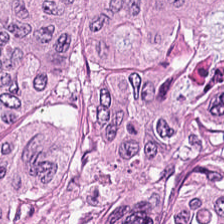H&E stain — The tissue here is colorectal adenocarcinoma epithelium.
